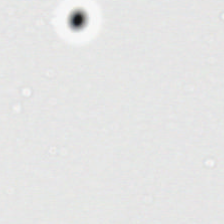H&E. Brightfield — Background.
